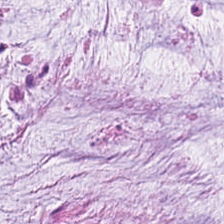Hematoxylin and eosin. Brightfield microscopy. 224×224 pixel tile — Finding — mucus.
